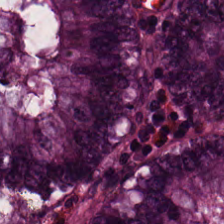Q: What tissue is shown?
A: This is non-neoplastic colon mucosa.
